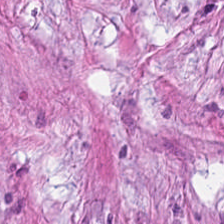H&E-stained tissue section · whole-slide-image patch. Histology — desmoplastic stroma.
